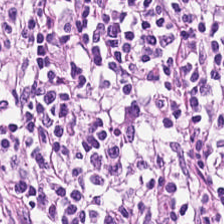Hematoxylin-and-eosin stained section. FFPE — Finding → lymphocytic infiltrate.
